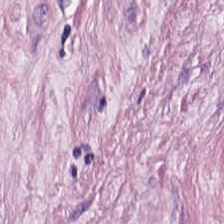Hematoxylin-and-eosin stained section. This patch shows tumor-associated stroma.
